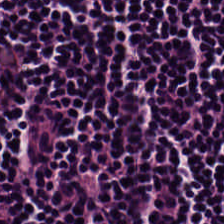Stain: H&E.
Tissue: lymphocytes.
